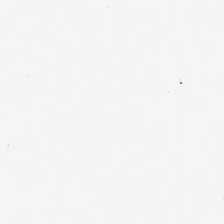Content = background (no tissue).
